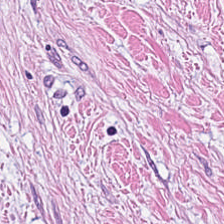Hematoxylin and eosin.
This field is tumor-associated stroma.
